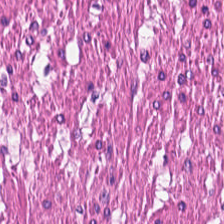H&E. Q: What does this patch show?
A: Smooth-muscle tissue.
